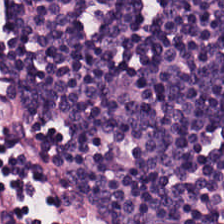Q: What type of tissue is this?
A: Lymphocytic infiltrate.
